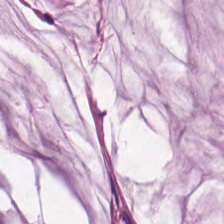H&E patch showing mucin.
